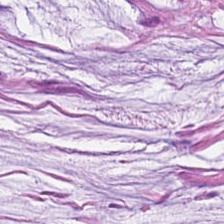H&E-stained tissue section. 224×224 pixel tile. Q: What type of tissue is this?
A: The field shows mucus.
